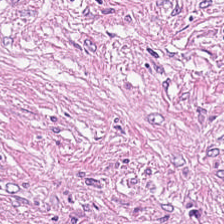H&E stain — Impression — tumor-associated stroma.
